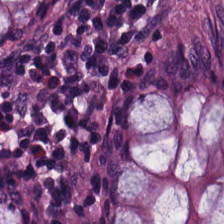Q: What does this patch show?
A: It is normal colonic mucosa.
